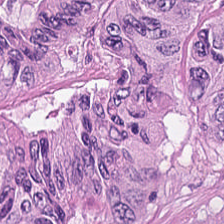H&E-stained tissue section — The predominant tissue is colorectal adenocarcinoma epithelium.
